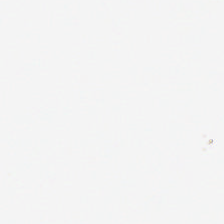0.5 µm per pixel · hematoxylin-and-eosin stained section — Content: background.
